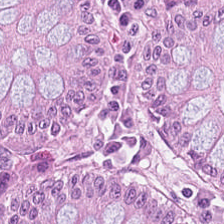Hematoxylin-and-eosin stained section. Normal colon mucosa.
